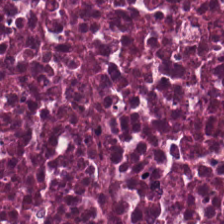224×224 pixel tile. Hematoxylin-and-eosin stained section — The tissue is cellular debris.
